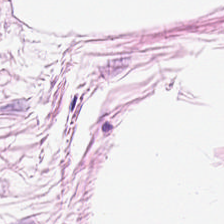Hematoxylin and eosin · FFPE.
This patch shows fat tissue.
